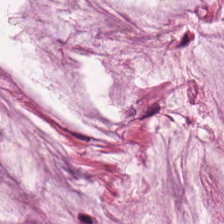Q: What does this patch show?
A: It is extracellular mucin.
